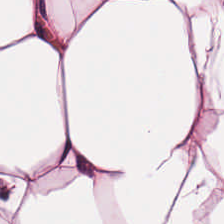Stain: H&E.
Tissue: adipocytes.
